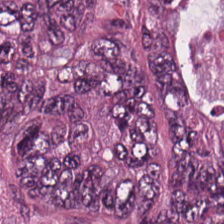H&E stain. The tissue here is adenocarcinoma.
